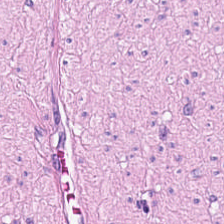H&E-stained tissue section.
Tissue class = smooth-muscle tissue.
